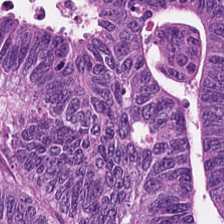Stain: hematoxylin-and-eosin stained section.
Tissue class: colorectal adenocarcinoma epithelium.
